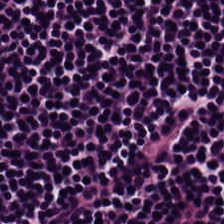Hematoxylin and eosin. Lymphoid infiltrate.
